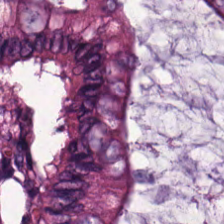0.5 µm per pixel; hematoxylin and eosin.
{"tissue_type": "normal colonic mucosa"}
